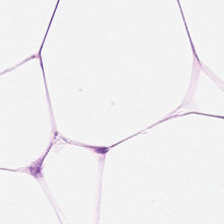Stain: H&E-stained tissue section.
Resolution: 0.5 microns per pixel.
Preparation: FFPE.
Predominant tissue: fat tissue.
